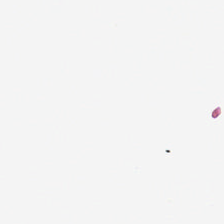H&E stain — Background (no tissue).
